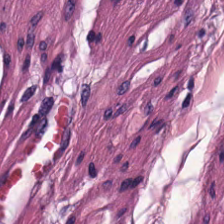H&E-stained tissue section — Q: What type of tissue is this?
A: The field shows smooth-muscle tissue.
